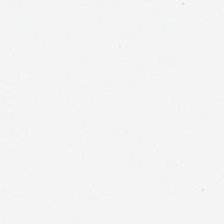WSI patch; H&E-stained tissue section — Field content — background.
